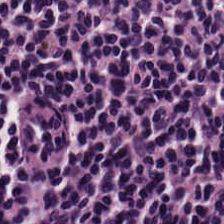Q: What is shown here?
A: Lymphoid infiltrate.
